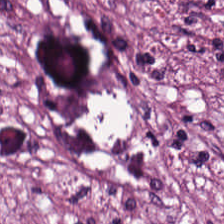Stain: H&E stain.
Tissue: tumor-associated stroma.
